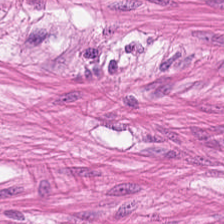0.5 µm per pixel; H&E-stained tissue section. Q: What is the predominant tissue type?
A: This is muscularis.
